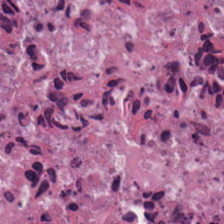Predominantly debris.
